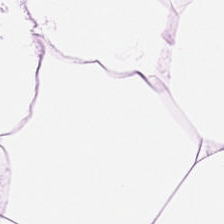Tissue: adipose.
